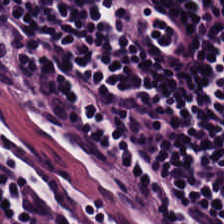FFPE tissue section · hematoxylin and eosin. Q: Identify the tissue.
A: It is lymphoid infiltrate.
